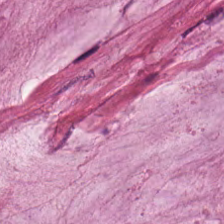H&E-stained tissue section · 224×224 px tile. Tissue — mucin.
